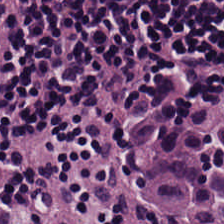The tissue class is lymphocytic infiltrate.
